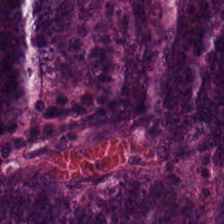{"tissue_type": "tumor epithelium"}
